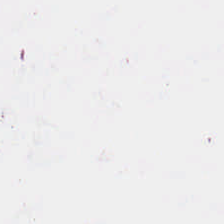Brightfield; hematoxylin-and-eosin stained section. Classification = background (no tissue).
